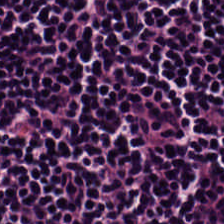H&E-stained tissue section · 20× equivalent magnification · FFPE — Predominant tissue: lymphocyte aggregate.
